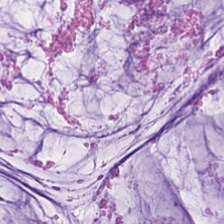Tissue class — extracellular mucin.
